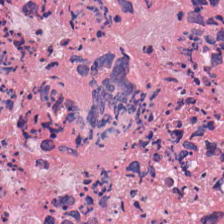{"tissue_type": "cellular debris"}
